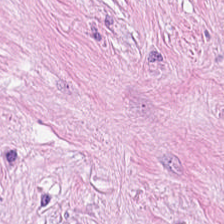Hematoxylin and eosin. FFPE tissue section.
{"tissue_type": "tumor stroma"}
